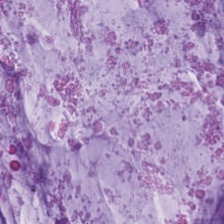Tissue = extracellular mucin.
